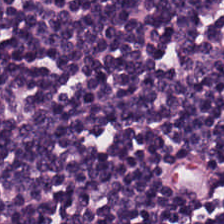Formalin-fixed paraffin-embedded section. H&E stain — Q: What tissue is shown?
A: This is lymphocytes.
